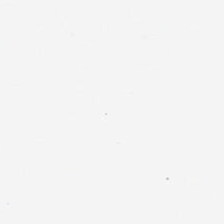H&E-stained tissue section.
{"content": "background (no tissue)"}
